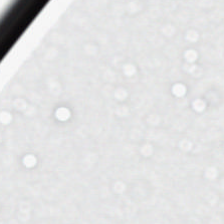Whole-slide-image patch. Formalin-fixed paraffin-embedded section. Hematoxylin and eosin — Q: What is shown in this field?
A: The field shows empty background.
